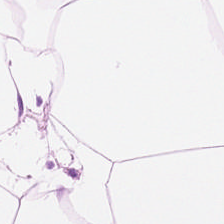Q: What is shown in this field?
A: It is fat tissue.
